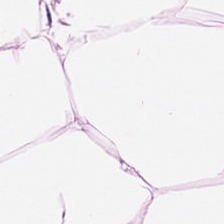H&E. 0.5 microns per pixel. Q: What is shown in this field?
A: This is adipose tissue.
